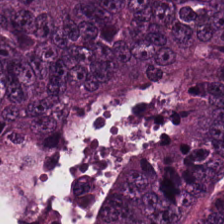224×224 pixel tile; 0.5 µm/px; hematoxylin-and-eosin stained section. Impression → colorectal adenocarcinoma epithelium.
